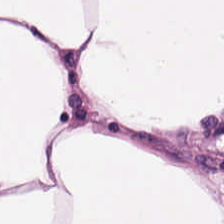H&E stain. {"tissue_type": "adipocytes"}
